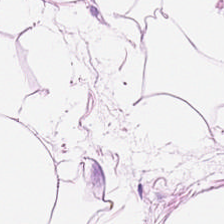Classification — adipocytes.
